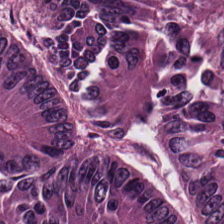Histology → malignant epithelium.
